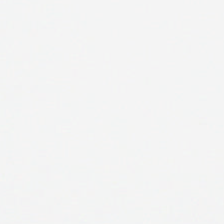H&E-stained tissue section; whole-slide-image patch — Classification = background (no tissue).
